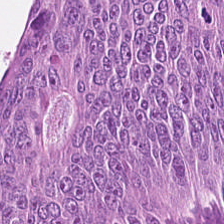Predominant tissue — tumor epithelium.
